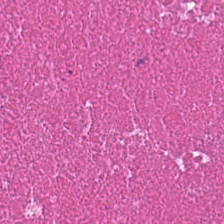Hematoxylin and eosin — The tissue here is necrotic debris.
